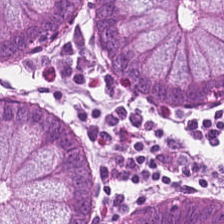Formalin-fixed paraffin-embedded section; H&E — The tissue class is normal colonic mucosa.
